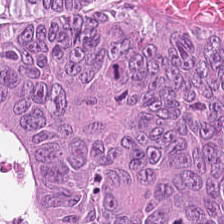Predominantly adenocarcinoma.
